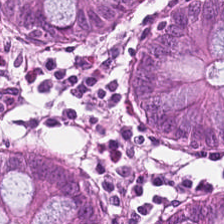Q: What is the predominant tissue type?
A: Non-neoplastic colon mucosa.
